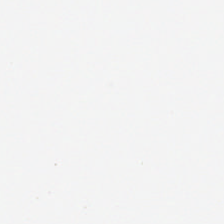H&E-stained tissue section. Background (no tissue).
